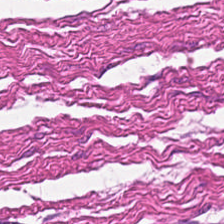Q: What tissue is shown?
A: This is smooth-muscle tissue.
